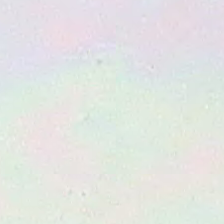0.5 µm per pixel; FFPE tissue section; H&E-stained tissue section — Field content — empty background.
